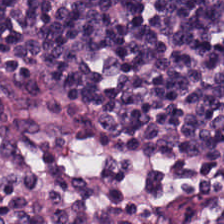Formalin-fixed paraffin-embedded section. 224×224 px tile. H&E stain — {"tissue_type": "lymphoid infiltrate"}
